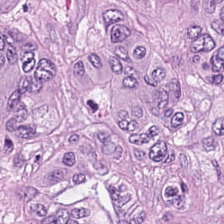H&E.
Tissue — colorectal adenocarcinoma epithelium.
